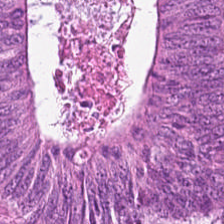20× equivalent magnification; H&E stain.
Impression — malignant epithelium.
